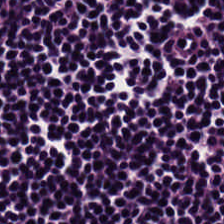Formalin-fixed paraffin-embedded section; H&E-stained tissue section.
Q: What is shown in this field?
A: It is lymphocyte aggregate.
